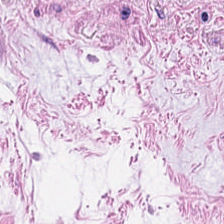Q: Classify this patch.
A: The field shows muscularis.
